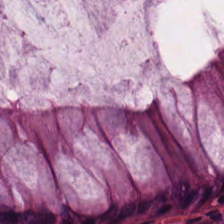H&E-stained tissue section. Brightfield.
This patch shows normal colonic mucosa.
